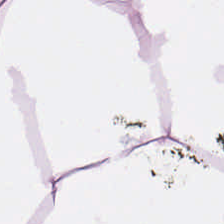Stain: hematoxylin and eosin.
Classification: adipose.
